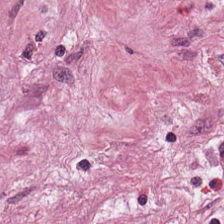H&E stain.
This patch shows desmoplastic stroma.
